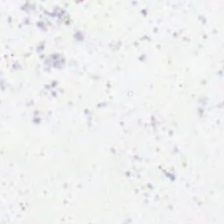H&E stain. Empty field — empty background.
